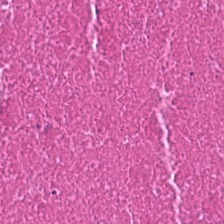H&E — The tissue here is necrotic debris.
